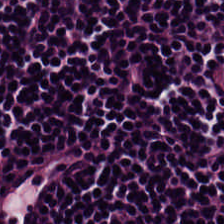Stain: H&E-stained tissue section.
Preparation: FFPE tissue section.
Tissue: lymphocytic infiltrate.
